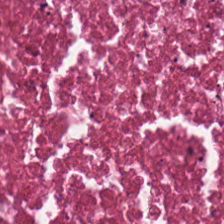H&E stain. This field is debris.
